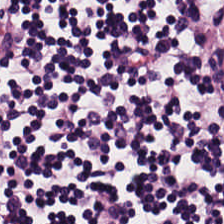Whole-slide-image patch; H&E; 224×224 pixel tile — The predominant tissue is lymphocyte aggregate.
